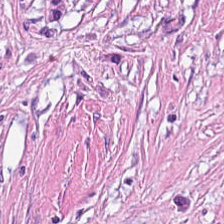Stain: hematoxylin-and-eosin stained section.
Tile size: 224×224 pixel tile.
Predominant tissue: desmoplastic stroma.
